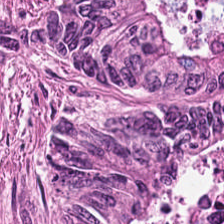H&E stain. 0.5 µm/px — Showing malignant epithelium.
